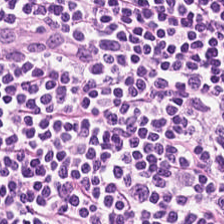Stain: H&E stain.
Resolution: 0.5 µm per pixel.
Tissue class: lymphocytes.
